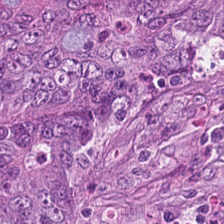Formalin-fixed paraffin-embedded section · hematoxylin-and-eosin stained section.
Q: Identify the tissue.
A: Adenocarcinoma.
